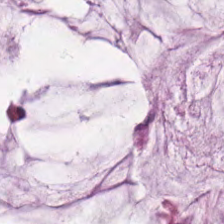Finding → mucus.
